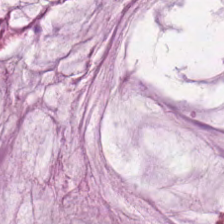224×224 px tile; hematoxylin-and-eosin stained section.
{"tissue_type": "mucus"}
